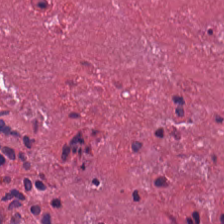Stain: hematoxylin-and-eosin stained section.
Tissue type: debris.
